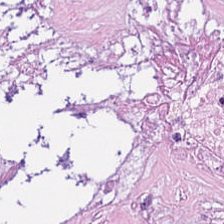Stain: H&E.
Resolution: 20× equivalent magnification.
Acquisition: whole-slide-image patch.
Tissue: necrotic debris.
